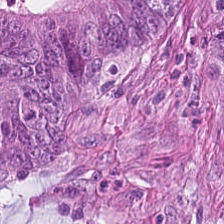Stain: H&E stain.
Tissue: tumor epithelium.
